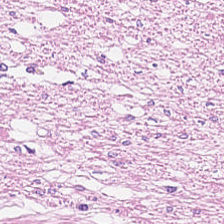H&E-stained tissue section — Q: What tissue is shown?
A: This is smooth-muscle tissue.
